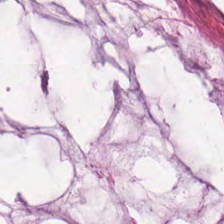Q: What type of tissue is this?
A: This is mucin.
